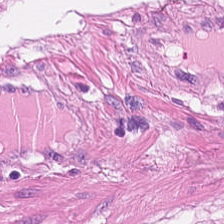H&E. This field is smooth-muscle tissue.
